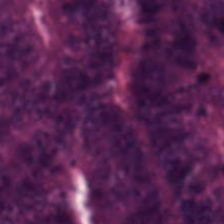H&E-stained tissue section. FFPE tissue section. {"tissue_type": "colorectal adenocarcinoma epithelium"}
